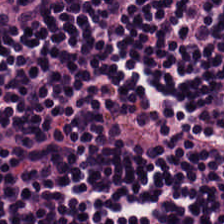H&E stain.
Finding — lymphocytes.
